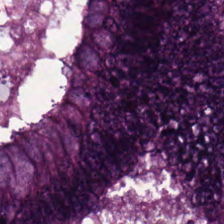Stain: H&E stain.
Tissue class: colorectal adenocarcinoma epithelium.
